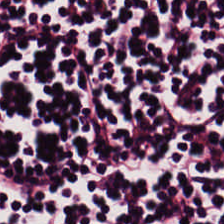H&E-stained tissue section. Predominant tissue — lymphocyte aggregate.
